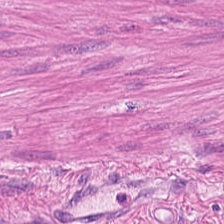{"tissue_type": "smooth-muscle tissue"}
